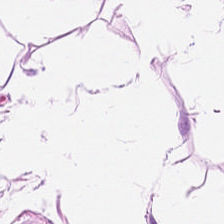Stain: H&E stain.
Tile size: 224×224 px tile.
Acquisition: WSI patch.
Tissue: adipose tissue.
